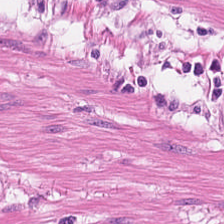224×224 px tile. Brightfield microscopy. H&E stain. This patch shows muscularis.
